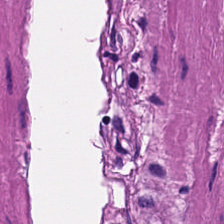Classification — smooth-muscle tissue.
